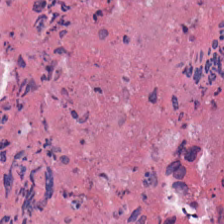Histology → necrotic debris.
